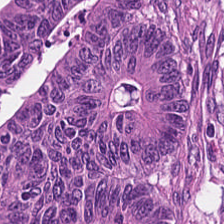H&E stain — This field is colorectal adenocarcinoma.
